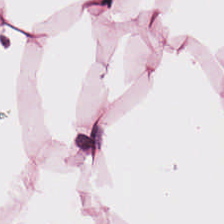Hematoxylin and eosin. This field is fat tissue.
